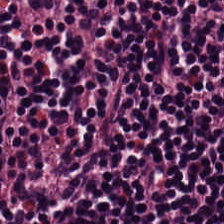H&E-stained section; the field shows lymphocytic infiltrate.
